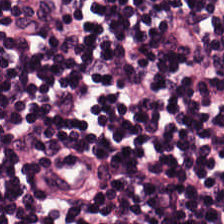Stain: H&E-stained tissue section.
Resolution: 0.5 µm/px.
Tile size: 224×224 pixel tile.
Predominant tissue: lymphocytic infiltrate.
